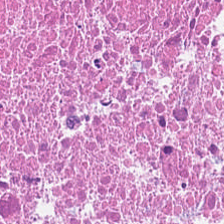Hematoxylin and eosin — Predominantly cellular debris.
